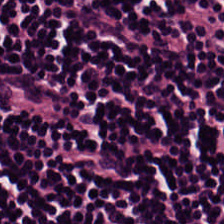H&E-stained tissue section — Showing lymphocytes.
